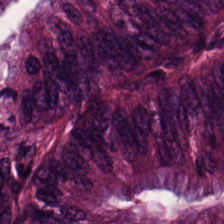Brightfield microscopy · FFPE tissue section · hematoxylin-and-eosin stained section. Predominantly malignant epithelium.
